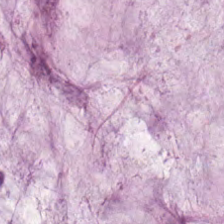FFPE tissue section. Hematoxylin and eosin — Histology → extracellular mucin.
